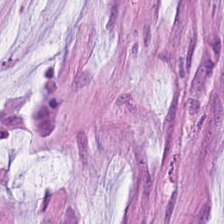The tissue class is extracellular mucin.
